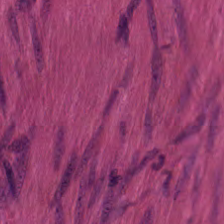Tissue type = smooth muscle.
